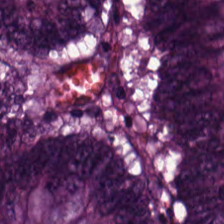H&E stain. WSI patch.
Tissue: colorectal adenocarcinoma.
